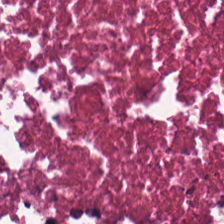Hematoxylin and eosin. FFPE. The classification is necrotic debris.
